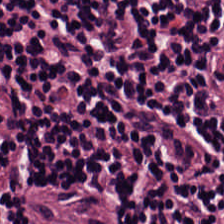H&E stain.
Histology — lymphocytic infiltrate.
